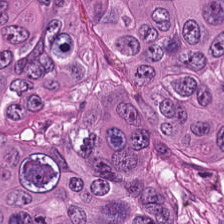Hematoxylin-and-eosin stained section.
Tissue type — malignant epithelium.
